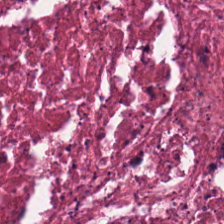H&E-stained tissue section — This patch shows debris.
